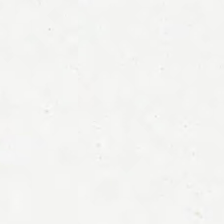Hematoxylin and eosin; formalin-fixed paraffin-embedded section.
Field content = no tissue.
